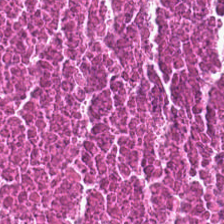The predominant tissue is cellular debris.
